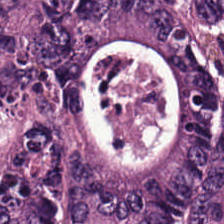H&E stain — Q: What does this patch show?
A: The field shows colorectal adenocarcinoma.
